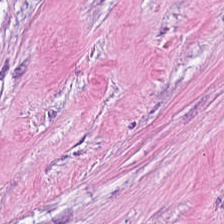Tissue class = tumor stroma.
